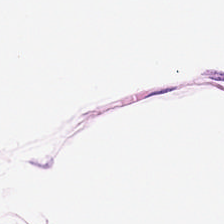224×224 pixel tile · H&E-stained tissue section · 0.5 µm/px.
Classification: adipose tissue.
